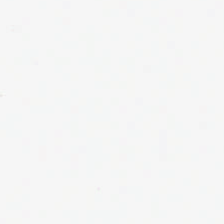Stain: H&E stain.
Tile size: 224×224 px tile.
Content: no tissue.
